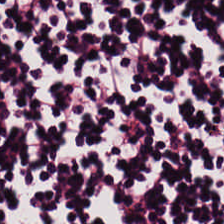WSI patch; H&E — This field is lymphoid infiltrate.
